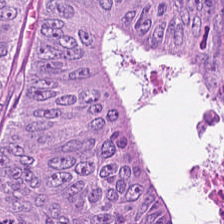Hematoxylin-and-eosin stained section. 0.5 µm/px. Brightfield.
Q: What does this patch show?
A: This is malignant epithelium.
